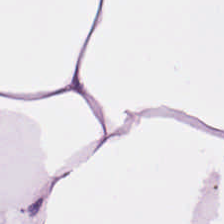0.5 µm/px; H&E — Tissue: adipose tissue.
